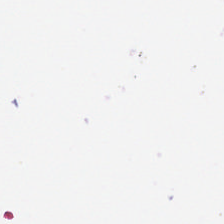H&E — Finding → empty background.
